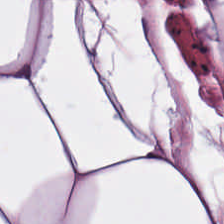H&E — Finding — adipocytes.
